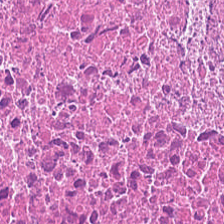224×224 px patch · H&E stain. Q: What is the predominant tissue type?
A: Necrotic debris.
